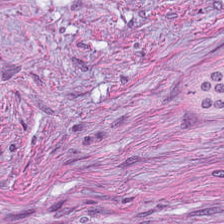Tissue = desmoplastic stroma.
